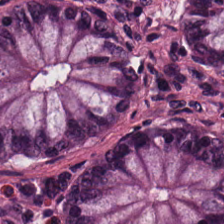Hematoxylin-and-eosin stained section.
{"tissue_type": "benign colonic mucosa"}
